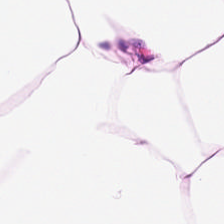Stain: hematoxylin and eosin.
Predominant tissue: adipocytes.
